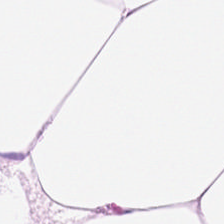H&E-stained tissue section.
Q: What is the predominant tissue type?
A: The field shows adipose.
